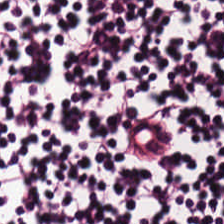Hematoxylin and eosin. {"tissue_type": "lymphocyte aggregate"}
